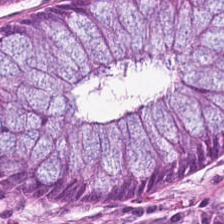224×224 pixel tile. H&E.
Predominantly normal colon mucosa.
